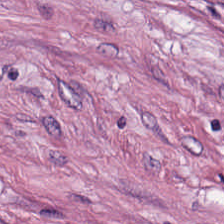H&E — The tissue here is desmoplastic stroma.
